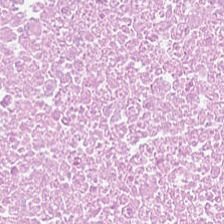H&E. Finding → debris.
